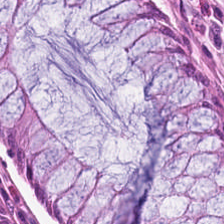H&E. Brightfield.
Tissue class: normal colonic mucosa.
